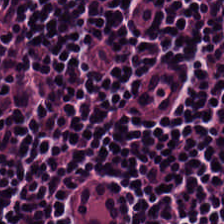H&E-stained tissue section · 0.5 microns per pixel · FFPE.
Impression → lymphoid infiltrate.
